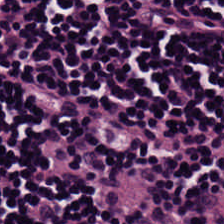Predominantly lymphocyte aggregate.
